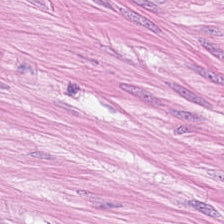Stain: hematoxylin and eosin.
Preparation: formalin-fixed paraffin-embedded section.
Resolution: 0.5 µm per pixel.
Classification: smooth-muscle tissue.
